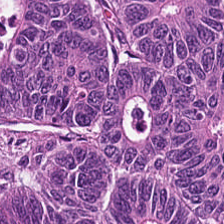Q: What is shown here?
A: It is colorectal adenocarcinoma.
